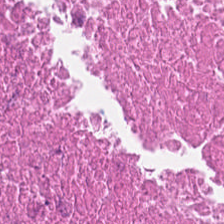H&E-stained tissue section. FFPE tissue section.
Predominantly cellular debris.
